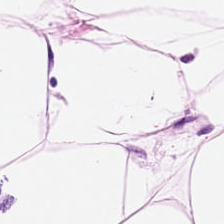Stain: hematoxylin and eosin.
Preparation: FFPE tissue section.
Predominant tissue: fat tissue.
